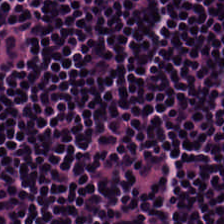Q: What is shown here?
A: It is lymphocytic infiltrate.
